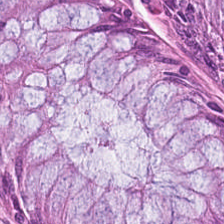Hematoxylin and eosin · 0.5 µm/px · whole-slide-image patch.
Q: What does this patch show?
A: It is non-neoplastic colon mucosa.
